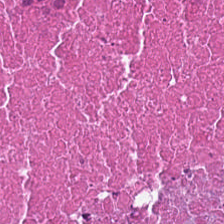Hematoxylin-and-eosin stained section. Cellular debris.
